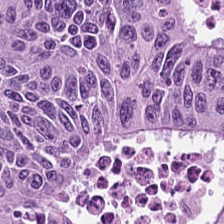Hematoxylin and eosin. Predominantly tumor epithelium.
